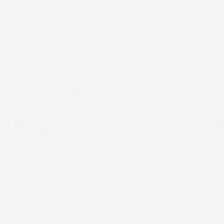H&E — Background — no tissue in this field.
